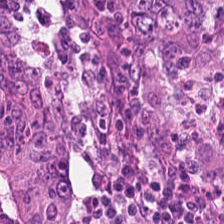H&E stain.
Impression — tumor epithelium.
